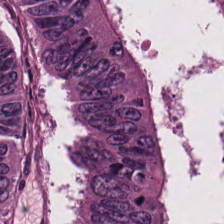H&E stain. This field is adenocarcinoma.
